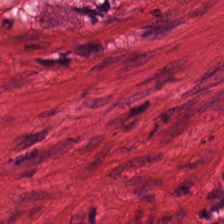Finding — smooth-muscle tissue.
